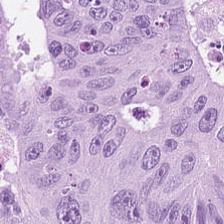Hematoxylin-and-eosin stained section. Q: Classify this patch.
A: Malignant epithelium.
